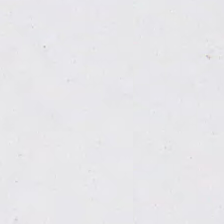The content is background (no tissue).
